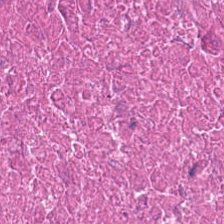The predominant tissue is necrotic debris.
